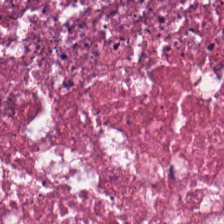WSI patch. 224×224 pixel tile. Hematoxylin and eosin — Showing debris.
